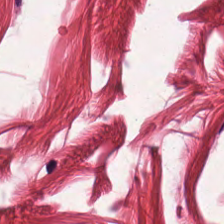Hematoxylin-and-eosin stained section — The tissue here is smooth muscle.
